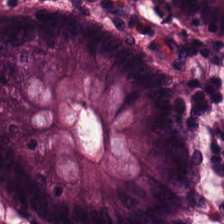H&E stain — Q: What does this patch show?
A: This is normal colon mucosa.
